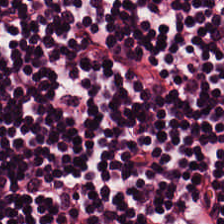Classification: lymphocyte aggregate.
